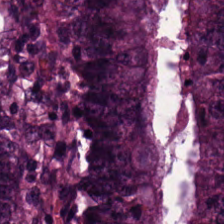H&E-stained tissue section · 0.5 µm per pixel. Predominantly colorectal adenocarcinoma epithelium.
